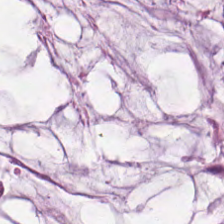H&E-stained tissue section — Q: What is shown in this field?
A: This is mucus.
